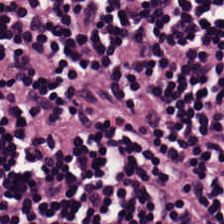Hematoxylin and eosin — Lymphocyte aggregate.
